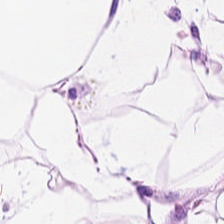{"tissue_type": "adipose tissue"}
